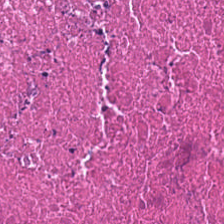0.5 microns per pixel. H&E-stained tissue section. 224×224 px tile. Histology — debris.
